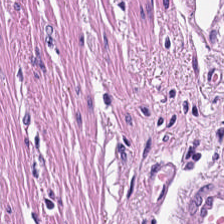Stain: hematoxylin-and-eosin stained section.
Classification: smooth-muscle tissue.
